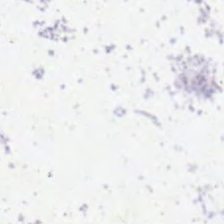Stain: H&E-stained tissue section.
Field content: background (no tissue).
